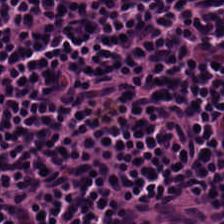H&E-stained tissue section. The tissue class is lymphocyte aggregate.
